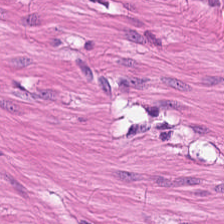Hematoxylin-and-eosin stained section. The classification is smooth-muscle tissue.
